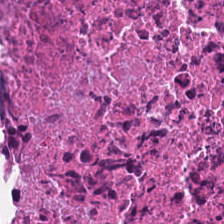H&E-stained tissue section. Q: What type of tissue is this?
A: The field shows necrotic debris.
